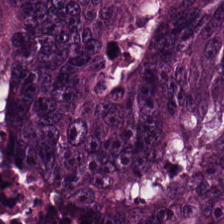Stain: H&E stain.
Tissue type: tumor epithelium.
